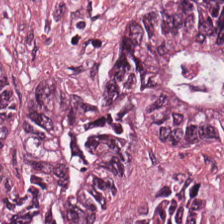Hematoxylin and eosin — Q: What tissue is shown?
A: Colorectal adenocarcinoma.
